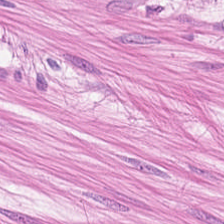Whole-slide-image patch · H&E · 224×224 px patch — The predominant tissue is muscularis.
